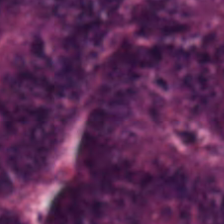Stain: hematoxylin and eosin.
Tile size: 224×224 px tile.
Tissue type: malignant epithelium.
